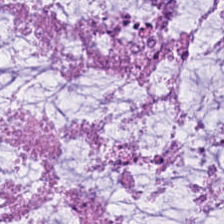H&E — Tissue: extracellular mucin.
